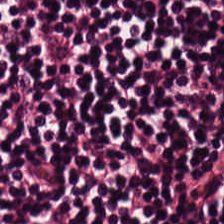H&E.
Tissue class = lymphoid infiltrate.
